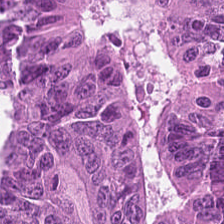Hematoxylin and eosin — The tissue here is tumor epithelium.
